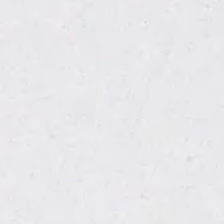Hematoxylin and eosin. This patch shows background (no tissue).
